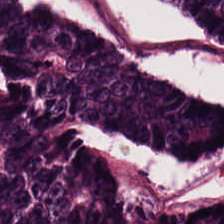Stain: H&E.
Classification: adenocarcinoma.
